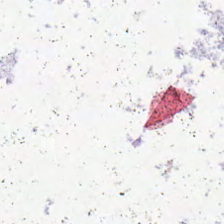H&E-stained tissue section · 224×224 px tile · brightfield. No tissue.
